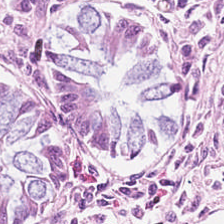Hematoxylin and eosin. {"tissue_type": "benign colonic mucosa"}
